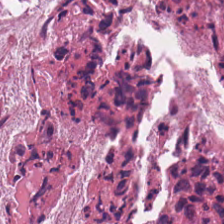Hematoxylin-and-eosin stained section. 0.5 microns per pixel. 224×224 px tile.
This patch shows debris.
